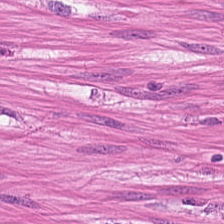H&E-stained tissue section.
Q: What tissue type is shown here?
A: The field shows smooth-muscle tissue.
